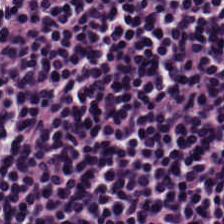Classification: lymphocytes.
